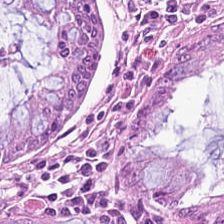Hematoxylin and eosin; whole-slide-image patch — Q: What is shown in this field?
A: This is non-neoplastic colon mucosa.
